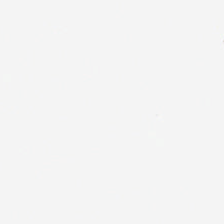No tissue.
